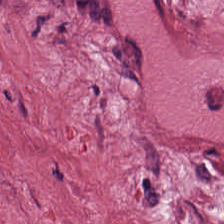H&E stain; FFPE tissue section.
Tissue type — tumor-associated stroma.
